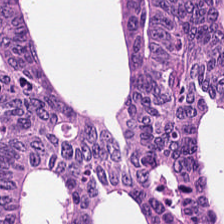224×224 px tile · H&E-stained tissue section — This field is malignant epithelium.
